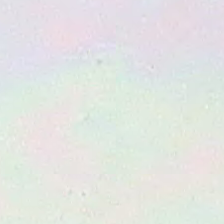Hematoxylin-and-eosin stained section.
Q: What does this patch show?
A: The field shows background.
